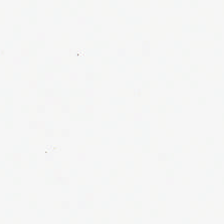This patch shows background (no tissue).
